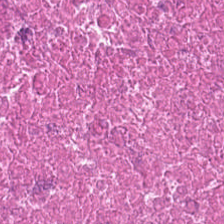Whole-slide-image patch. Hematoxylin and eosin. 224×224 pixel tile. Q: Classify this patch.
A: The field shows cellular debris.
